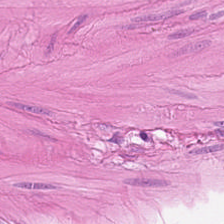The predominant tissue is smooth muscle.
